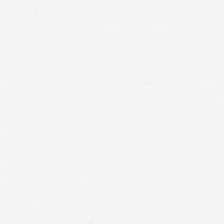Hematoxylin-and-eosin stained section; brightfield; FFPE tissue section.
Content = empty background.
